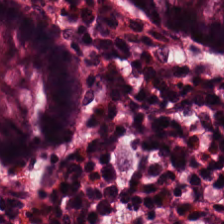H&E-stained tissue section.
This patch shows normal colonic mucosa.
